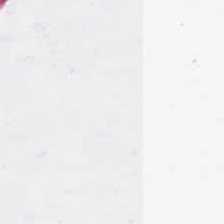H&E stain.
This field is background (no tissue).
